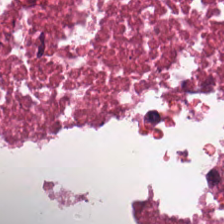H&E-stained tissue section; FFPE. Histology — debris.
